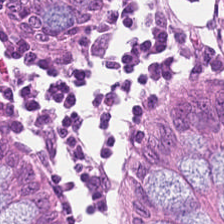FFPE tissue section; hematoxylin-and-eosin stained section — Tissue type: benign colonic mucosa.
